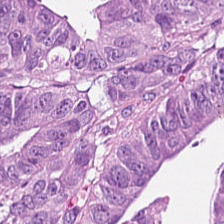H&E stain. 0.5 µm per pixel — Showing malignant epithelium.
